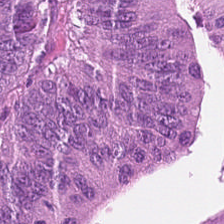Formalin-fixed paraffin-embedded section; H&E. Tissue — adenocarcinoma.
